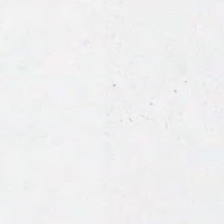H&E. No tissue present; background only.
